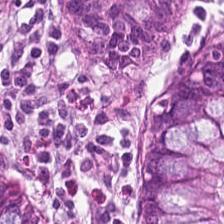Stain: H&E-stained tissue section.
Acquisition: brightfield.
Predominant tissue: benign colonic mucosa.
